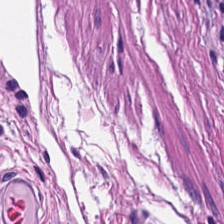Stain: hematoxylin-and-eosin stained section.
Tissue class: smooth-muscle tissue.
